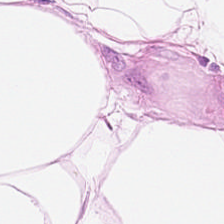H&E-stained tissue section. This patch shows fat tissue.
